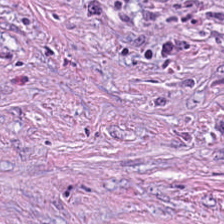Cancer-associated stroma.
